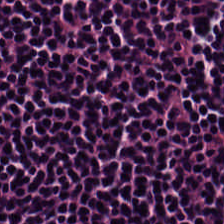The predominant tissue is lymphoid infiltrate.
